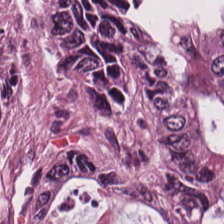Brightfield · H&E stain. Q: What type of tissue is this?
A: The field shows colorectal adenocarcinoma.
